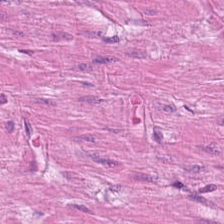Q: Classify this patch.
A: This is muscularis.
